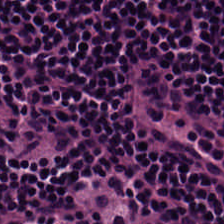Brightfield microscopy · H&E · 20× equivalent magnification. Tissue class — lymphocytes.
